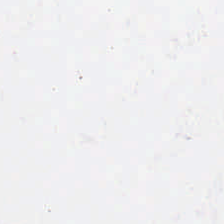Stain: H&E stain.
Content: empty background.
